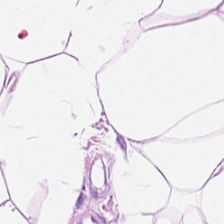Stain: H&E.
Tissue class: adipocytes.
